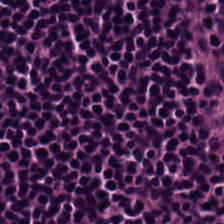Brightfield microscopy · H&E stain — Tissue type: lymphoid infiltrate.
